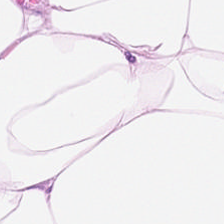Tissue class: adipose tissue.
